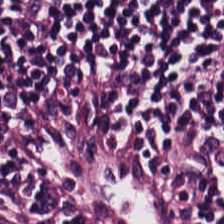Hematoxylin-and-eosin section: lymphoid infiltrate.
